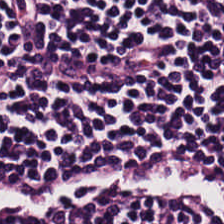Stain: hematoxylin and eosin.
Tissue: lymphocytes.
